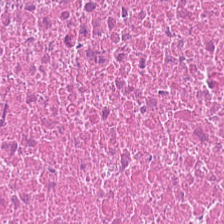Hematoxylin-and-eosin stained section — This field is debris.
